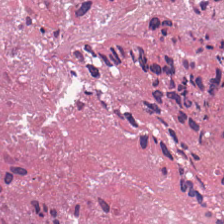H&E. WSI patch.
This patch shows debris.
